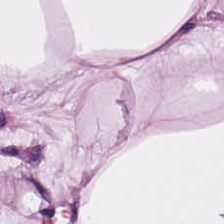FFPE; H&E; 0.5 microns per pixel.
{"tissue_type": "adipocytes"}
